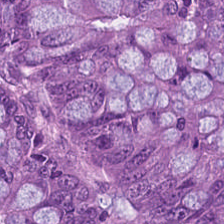H&E stain — Tissue: colorectal adenocarcinoma epithelium.
